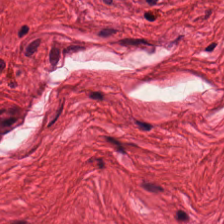Hematoxylin-and-eosin stained section.
Smooth-muscle tissue.
